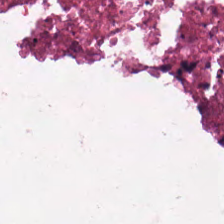H&E-stained tissue section.
This field is necrotic debris.
